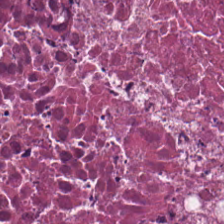H&E stain. Debris.
